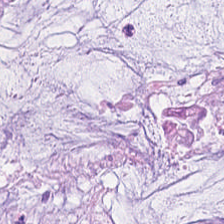Q: What is shown here?
A: The field shows mucus.
